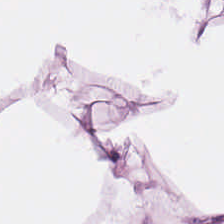Stain: hematoxylin-and-eosin stained section.
Acquisition: brightfield microscopy.
Predominant tissue: adipose.
